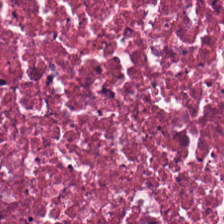H&E-stained tissue section; 0.5 µm per pixel. The predominant tissue is cellular debris.
